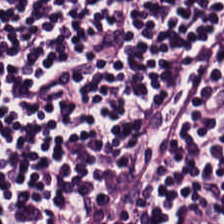Stain: hematoxylin-and-eosin stained section.
Tissue type: lymphoid infiltrate.
